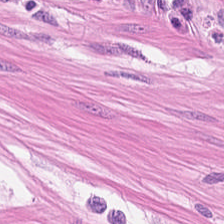Tissue class — smooth muscle.
